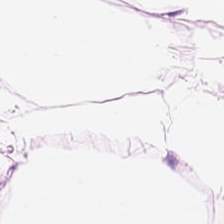H&E stain. WSI patch. 0.5 microns per pixel.
Predominant tissue — fat tissue.
